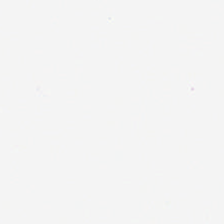Hematoxylin-and-eosin stained section — Finding — empty background.
